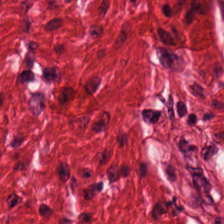Hematoxylin-and-eosin stained section · formalin-fixed paraffin-embedded section — Tissue class = muscularis.
